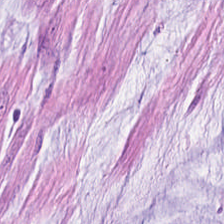H&E stain; brightfield.
The tissue here is mucus.
